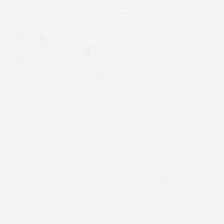Q: What is shown here?
A: It is background (no tissue).
